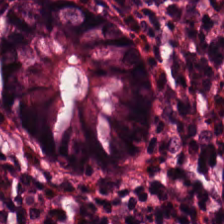224×224 px tile; FFPE tissue section; hematoxylin-and-eosin stained section — Finding — normal colonic mucosa.
